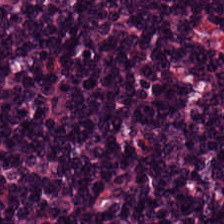Predominant tissue — lymphoid infiltrate.
